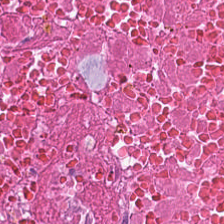Predominant tissue = necrotic debris.
